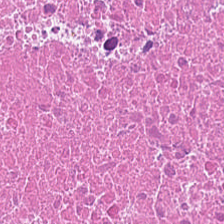FFPE tissue section; hematoxylin and eosin. Classification — necrotic debris.
